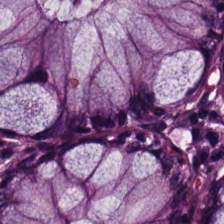Stain: hematoxylin and eosin.
Classification: normal colon mucosa.
